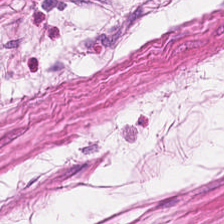Predominantly smooth-muscle tissue.
